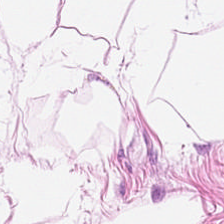Stain: H&E-stained tissue section.
Predominant tissue: fat tissue.
